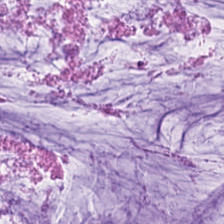H&E; 20× equivalent magnification. Q: What type of tissue is this?
A: The field shows mucus.
